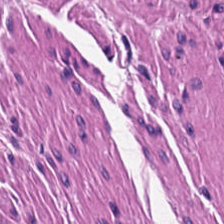H&E-stained tissue section. 224×224 px patch — Smooth-muscle tissue.
